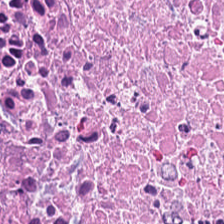Hematoxylin-and-eosin stained section · brightfield microscopy. Cellular debris.
